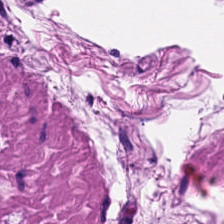Hematoxylin-and-eosin section: smooth muscle.
